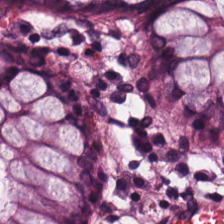H&E-stained tissue section · 224×224 px tile · formalin-fixed paraffin-embedded section — The tissue here is non-neoplastic colon mucosa.
